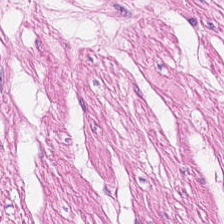Hematoxylin-and-eosin stained section — Showing smooth-muscle tissue.
